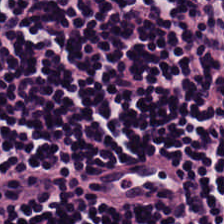Brightfield; hematoxylin and eosin.
Tissue type = lymphocyte aggregate.
